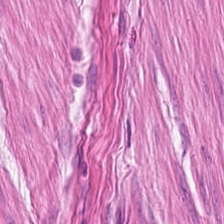H&E-stained tissue section. Impression — muscularis.
